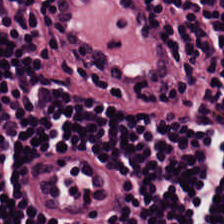Hematoxylin-and-eosin section: lymphocytic infiltrate.
